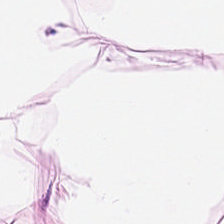This patch shows fat tissue.
